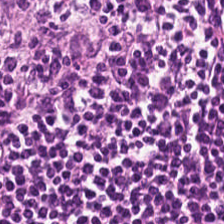H&E patch showing lymphoid infiltrate.
